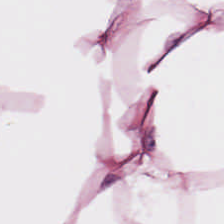Stain: hematoxylin-and-eosin stained section.
Preparation: formalin-fixed paraffin-embedded section.
Tissue: adipose tissue.
